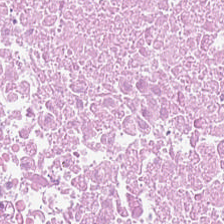H&E stain. Classification — necrotic debris.
